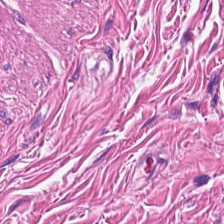224×224 px tile · 0.5 microns per pixel · H&E.
Classification — smooth muscle.
